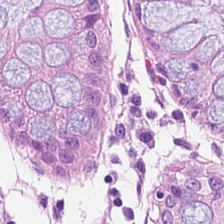Hematoxylin-and-eosin stained section. Q: What is the predominant tissue type?
A: It is normal colonic mucosa.
